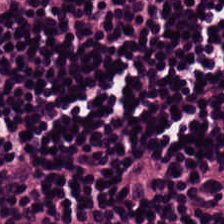Whole-slide-image patch · hematoxylin-and-eosin stained section.
The tissue here is lymphocytes.
